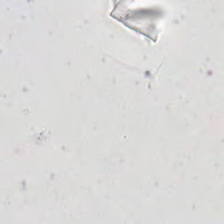H&E stain. Q: Classify this patch.
A: It is background (no tissue).
